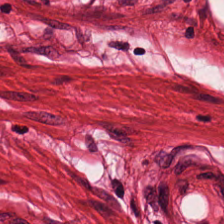Stain: hematoxylin and eosin.
Classification: muscularis.
